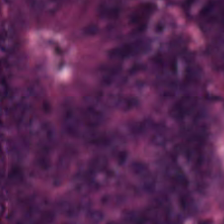Hematoxylin and eosin.
Showing adenocarcinoma.
